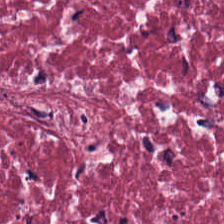224×224 px patch; formalin-fixed paraffin-embedded section; hematoxylin and eosin. The tissue here is tumor stroma.
